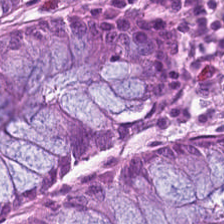{"tissue_type": "benign colonic mucosa"}
